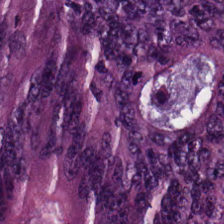Stain: H&E-stained tissue section.
Classification: colorectal adenocarcinoma.
